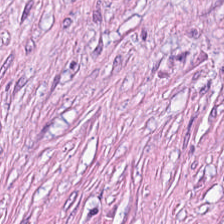Stain: H&E.
Predominant tissue: tumor stroma.
